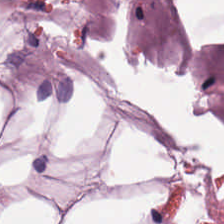H&E. 20× equivalent magnification. Brightfield.
Predominantly adipose.
